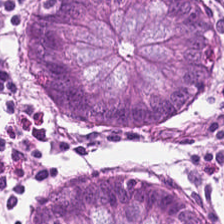H&E-stained section; the field shows normal colon mucosa.
